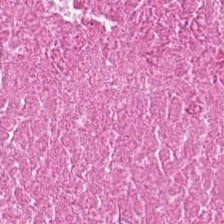Hematoxylin and eosin — This patch shows necrotic debris.
